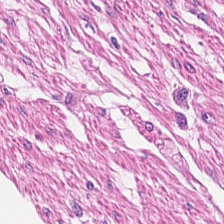Predominantly muscularis.
